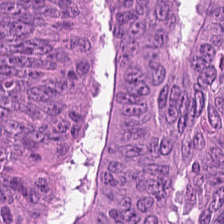H&E-stained tissue section. The tissue here is colorectal adenocarcinoma.
